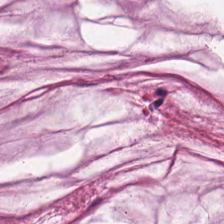Hematoxylin and eosin. This field is mucus.
